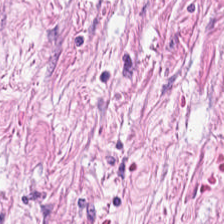Stain: hematoxylin-and-eosin stained section.
Tissue: tumor stroma.
